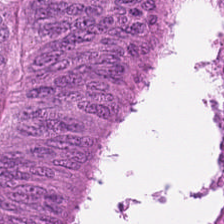H&E stain — Tumor epithelium.
